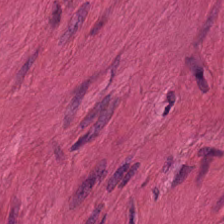Hematoxylin and eosin; 224×224 px patch. Q: What does this patch show?
A: It is smooth-muscle tissue.
